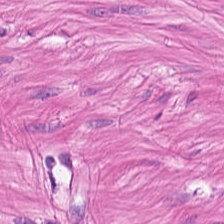Hematoxylin-and-eosin stained section · FFPE tissue section. Predominant tissue — smooth-muscle tissue.
